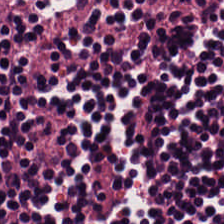Stain: H&E stain.
Tissue type: lymphocytic infiltrate.
